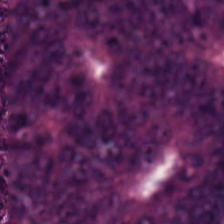Hematoxylin and eosin; 0.5 µm/px — The tissue here is colorectal adenocarcinoma.
